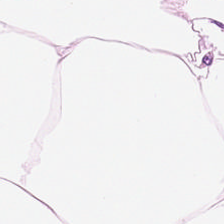Formalin-fixed paraffin-embedded section; WSI patch; hematoxylin-and-eosin stained section. {"tissue_type": "adipose tissue"}
